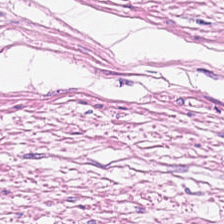H&E-stained tissue section. 20× equivalent magnification. The tissue here is smooth muscle.
